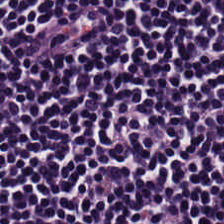Stain: hematoxylin-and-eosin stained section.
Tissue class: lymphocyte aggregate.
